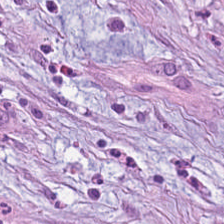0.5 µm per pixel. H&E. Predominantly desmoplastic stroma.
